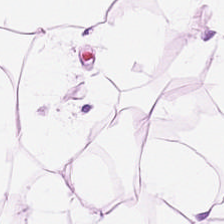Hematoxylin and eosin. The predominant tissue is adipose.
